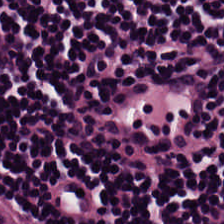Hematoxylin and eosin. Predominantly lymphocytic infiltrate.
